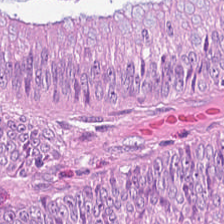H&E-stained tissue section showing malignant epithelium.
